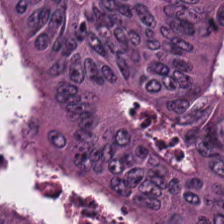Hematoxylin-and-eosin stained section. Formalin-fixed paraffin-embedded section. Finding — malignant epithelium.
